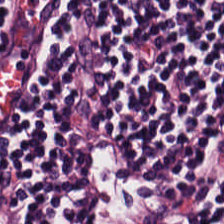The predominant tissue is lymphoid infiltrate.
